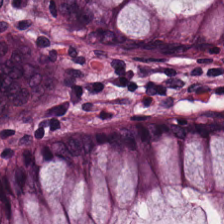H&E-stained tissue section.
Predominant tissue = normal colonic mucosa.
